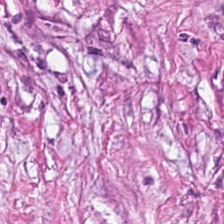Impression — cancer-associated stroma.
